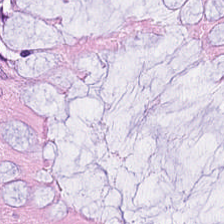Hematoxylin and eosin. Impression → normal colon mucosa.
